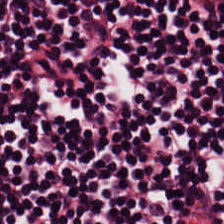0.5 microns per pixel · H&E.
This patch shows lymphocytes.
